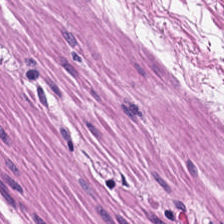Hematoxylin and eosin. Classification — smooth muscle.
